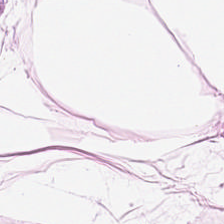Hematoxylin and eosin.
Tissue type: adipose tissue.
